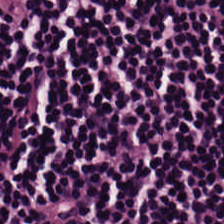Hematoxylin and eosin — Classification = lymphocyte aggregate.
